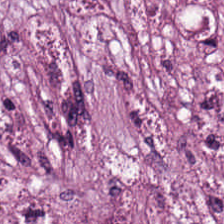H&E.
The predominant tissue is tumor stroma.
